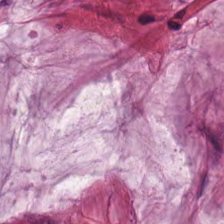Formalin-fixed paraffin-embedded section. H&E — Q: What type of tissue is this?
A: Mucus.
